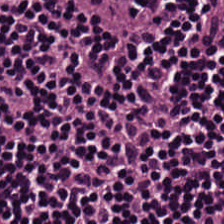Stain: H&E stain.
Acquisition: brightfield.
Classification: lymphoid infiltrate.
